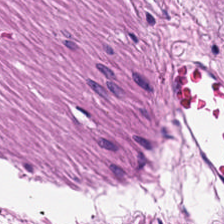Stain: H&E-stained tissue section.
Resolution: 0.5 µm per pixel.
Tissue type: smooth muscle.
